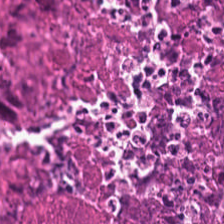H&E stain. Showing cellular debris.
